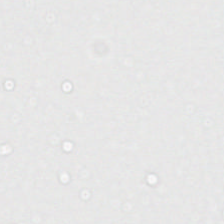Hematoxylin-and-eosin stained section.
The field content is background.
